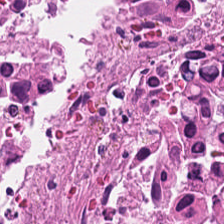Tissue type = necrotic debris.
